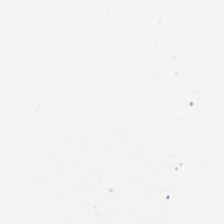This patch shows empty background.
